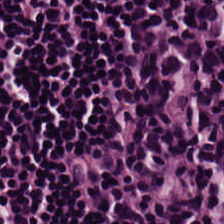H&E. 20× equivalent magnification. The tissue here is lymphocytes.
